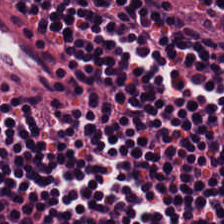Q: What tissue type is shown here?
A: Lymphocyte aggregate.
